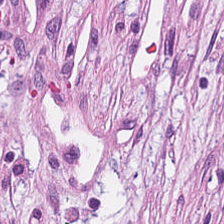H&E stain. The tissue type is desmoplastic stroma.
